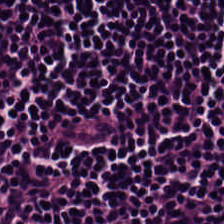{"tissue_type": "lymphoid infiltrate"}
